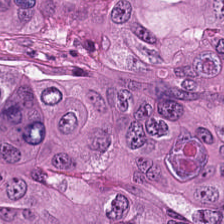Classification: adenocarcinoma.
